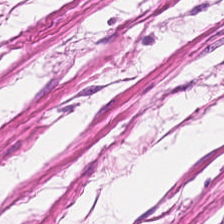Q: Classify this patch.
A: The field shows smooth-muscle tissue.
